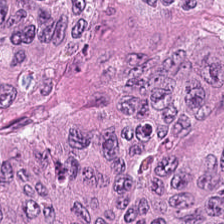{"tissue_type": "adenocarcinoma"}
